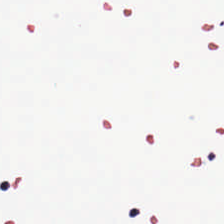H&E. FFPE.
No tissue present; background only.
